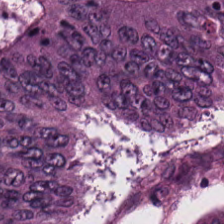Whole-slide-image patch. FFPE. H&E — Predominant tissue — malignant epithelium.
